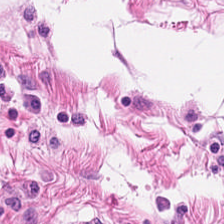WSI patch · H&E-stained tissue section.
The predominant tissue is smooth-muscle tissue.
